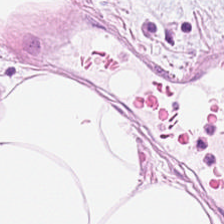Hematoxylin and eosin.
The classification is adipocytes.
